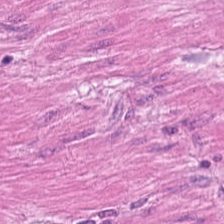20× equivalent magnification. Hematoxylin and eosin.
Smooth-muscle tissue.
